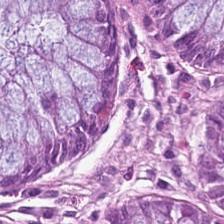Stain: hematoxylin and eosin.
Preparation: FFPE.
Tissue class: normal colonic mucosa.
